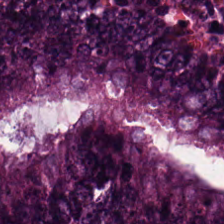The classification is colorectal adenocarcinoma epithelium.
